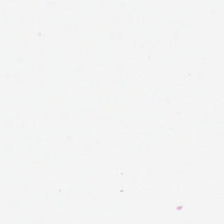Hematoxylin-and-eosin stained section. {"content": "empty background"}
